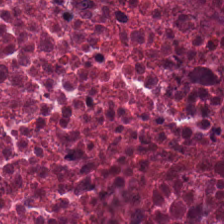H&E-stained tissue section showing debris.
